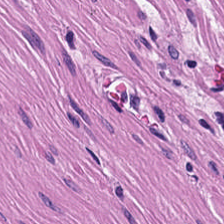H&E stain.
Classification: smooth-muscle tissue.
